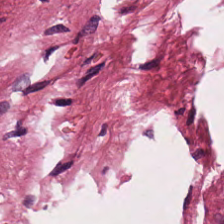0.5 microns per pixel. WSI patch. H&E-stained tissue section — Tumor-associated stroma.
